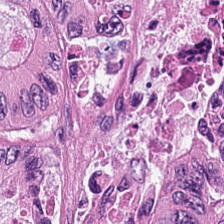Showing tumor epithelium.
